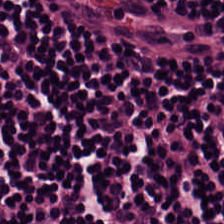This field is lymphocytic infiltrate.
